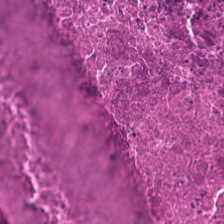H&E stain; WSI patch. Q: What tissue type is shown here?
A: The field shows debris.
